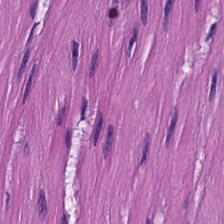Brightfield · 0.5 µm per pixel · hematoxylin and eosin. Q: What is shown here?
A: This is smooth muscle.
